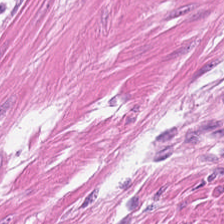0.5 µm/px · H&E-stained tissue section · brightfield microscopy. Q: What is shown here?
A: It is muscularis.
